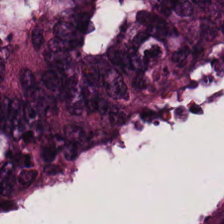Predominant tissue — colorectal adenocarcinoma epithelium.
